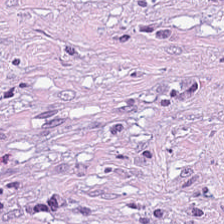H&E-stained tissue section. Finding — desmoplastic stroma.
